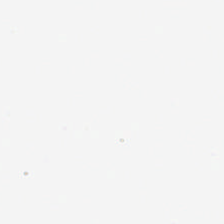H&E stain — Impression — background.
